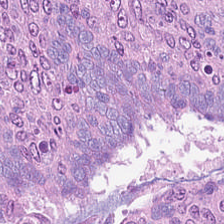Formalin-fixed paraffin-embedded section. H&E stain. Q: What tissue is shown?
A: Tumor epithelium.
